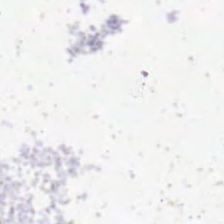Empty field — no tissue.
